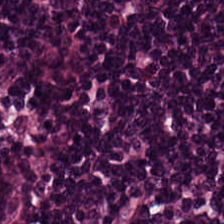This patch shows lymphoid infiltrate.
